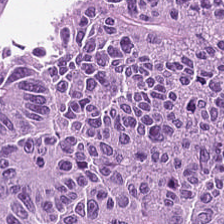H&E-stained tissue section. WSI patch.
The predominant tissue is malignant epithelium.
